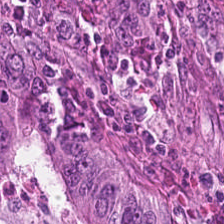H&E stain.
The predominant tissue is malignant epithelium.
